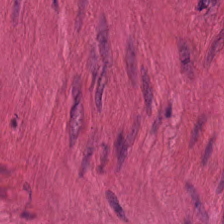H&E — This patch shows smooth muscle.
